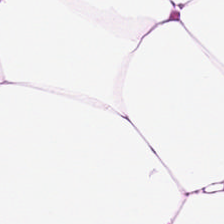Classification = adipocytes.
